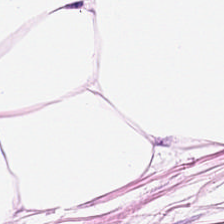H&E — Impression → adipose.
